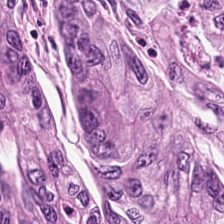H&E stain.
Showing malignant epithelium.
